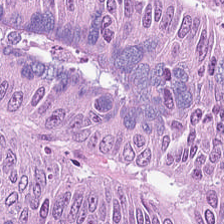Stain: hematoxylin-and-eosin stained section.
Tissue type: colorectal adenocarcinoma.
